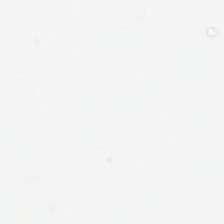Background — no tissue in this field.
